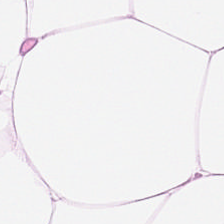Adipocytes.
